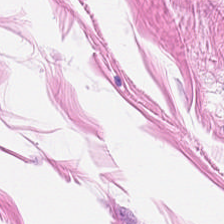Hematoxylin and eosin.
The tissue here is muscularis.
